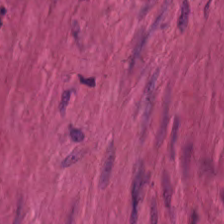H&E. The predominant tissue is muscularis.
